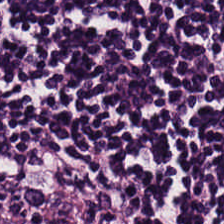Hematoxylin and eosin.
Q: What type of tissue is this?
A: Lymphocytes.
